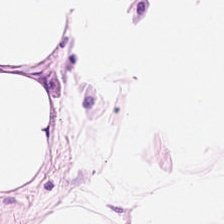Hematoxylin and eosin — The classification is fat tissue.
